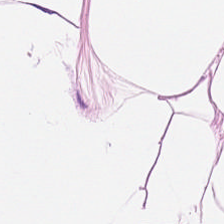FFPE tissue section · H&E stain · 0.5 µm/px — Predominantly adipose.
